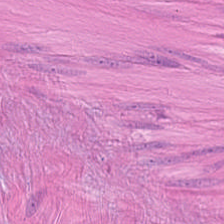H&E; whole-slide-image patch.
Finding → smooth-muscle tissue.
